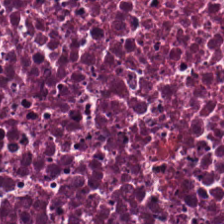224×224 px tile · H&E. Classification — debris.
